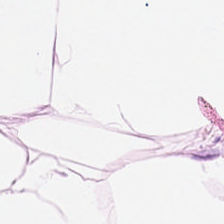Hematoxylin-and-eosin stained section — {"tissue_type": "adipose"}
